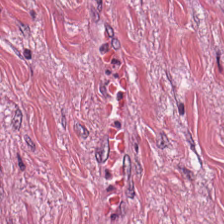Stain: H&E stain.
Tissue: tumor-associated stroma.
